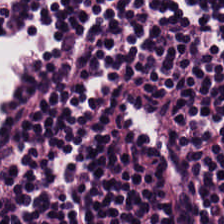Stain: hematoxylin-and-eosin stained section.
Tissue type: lymphocyte aggregate.
